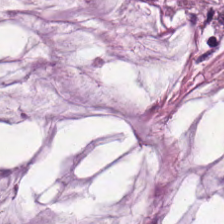Hematoxylin-and-eosin stained section.
Impression → extracellular mucin.
